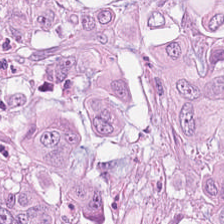Hematoxylin and eosin · WSI patch.
Predominant tissue = malignant epithelium.
